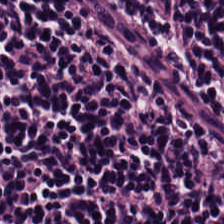H&E — Predominantly lymphocytic infiltrate.
